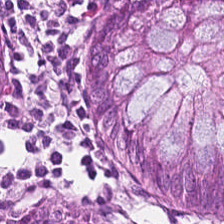Hematoxylin-and-eosin stained section; 224×224 px patch — Impression → normal colon mucosa.
